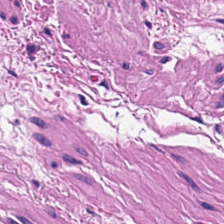Stain: H&E.
Tissue: muscularis.
